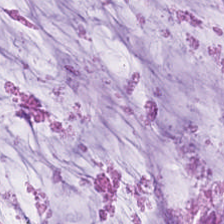Q: What is the predominant tissue type?
A: The field shows mucin.
